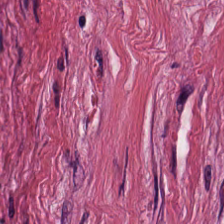Brightfield · 0.5 µm/px · hematoxylin and eosin. Tissue type: tumor stroma.
